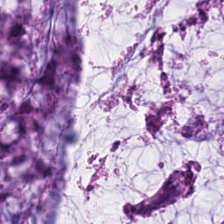H&E — This patch shows mucin.
